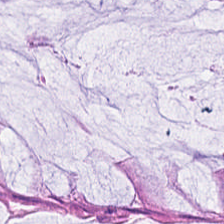H&E stain. Brightfield microscopy. 0.5 µm/px — Q: What does this patch show?
A: It is normal colonic mucosa.
